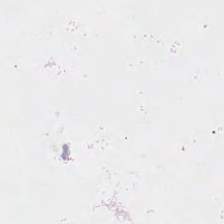Stain: H&E.
Field content: background (no tissue).
